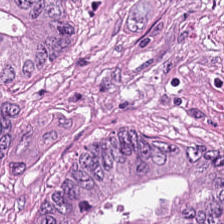Hematoxylin-and-eosin stained section · 224×224 px patch · 20× equivalent magnification.
Histology → colorectal adenocarcinoma.
